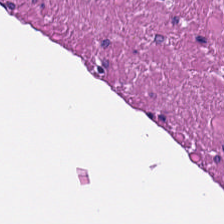H&E-stained tissue section. Showing muscularis.
